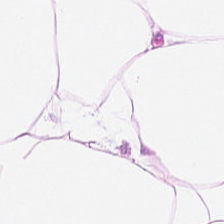H&E — adipocytes.
